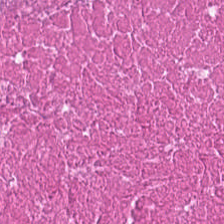H&E stain.
{"tissue_type": "debris"}
